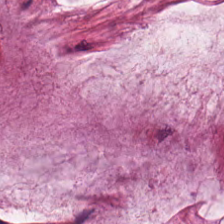H&E-stained tissue section.
Histology — mucin.
